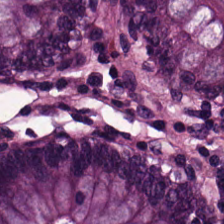{"tissue_type": "normal colonic mucosa"}
